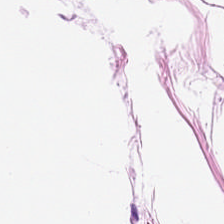WSI patch. H&E. Formalin-fixed paraffin-embedded section.
Q: What type of tissue is this?
A: The field shows adipose tissue.
